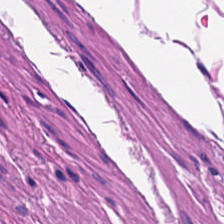Stain: hematoxylin-and-eosin stained section.
Classification: smooth-muscle tissue.
